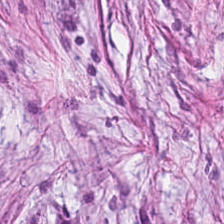H&E stain — Q: What is shown in this field?
A: Tumor-associated stroma.
